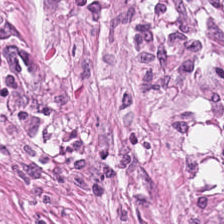H&E-stained tissue section · 224×224 pixel tile · 0.5 microns per pixel. The predominant tissue is cancer-associated stroma.
